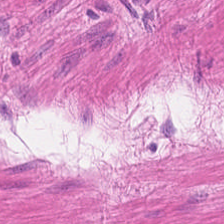0.5 µm/px. H&E. Smooth muscle.
